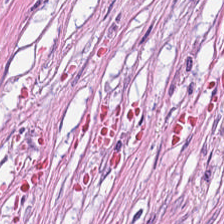H&E stain. This field is cancer-associated stroma.
